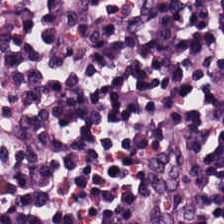20× equivalent magnification. H&E-stained tissue section. Finding — lymphocyte aggregate.
